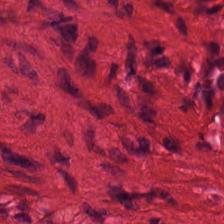H&E — Q: What is shown in this field?
A: Smooth muscle.
